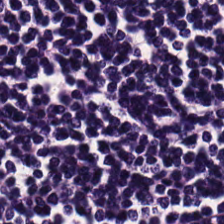224×224 px tile · FFPE · H&E-stained tissue section.
Classification — lymphocytes.
